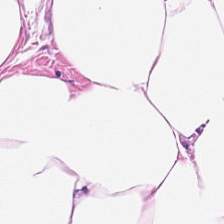Tissue = adipose.
